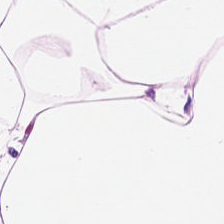224×224 px tile; WSI patch; H&E.
This patch shows adipose tissue.
